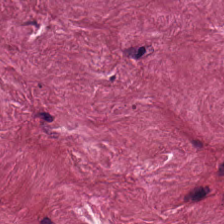H&E patch showing cancer-associated stroma.
